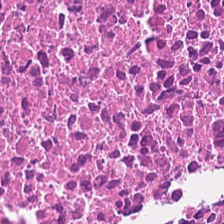H&E-stained tissue section. Predominantly necrotic debris.
